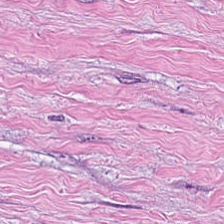224×224 px tile; H&E — Showing cancer-associated stroma.
